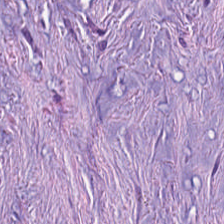Histology — desmoplastic stroma.
